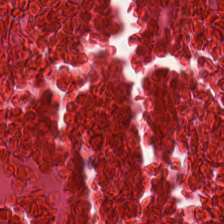H&E stain — This field is debris.
